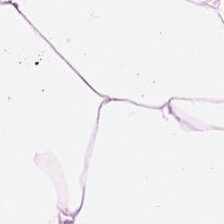H&E stain — Q: What type of tissue is this?
A: The field shows adipose tissue.
